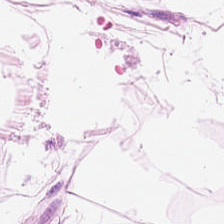Hematoxylin-and-eosin stained section. 224×224 px patch. Tissue type = adipose tissue.
